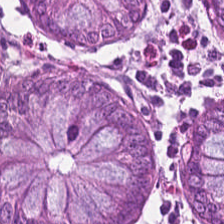Tissue class: non-neoplastic colon mucosa.
